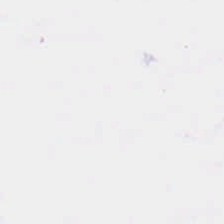Hematoxylin and eosin — Q: What is shown here?
A: The field shows background.
